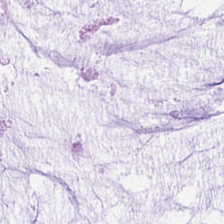H&E-stained tissue section. Predominantly extracellular mucin.
